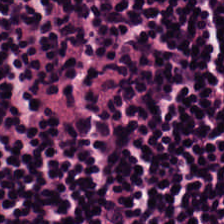Stain: H&E-stained tissue section.
Tissue type: lymphocytes.
